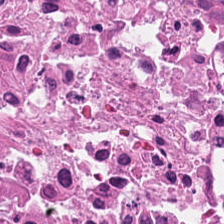Hematoxylin-and-eosin stained section · formalin-fixed paraffin-embedded section. This field is cellular debris.
